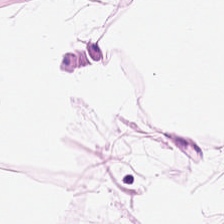{"tissue_type": "fat tissue"}
